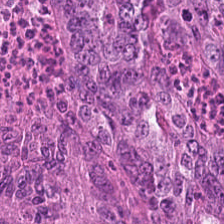Hematoxylin-and-eosin stained section; WSI patch — The tissue here is colorectal adenocarcinoma.
